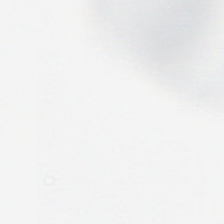Hematoxylin and eosin — Empty field — background (no tissue).
